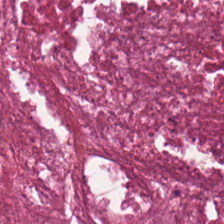WSI patch; H&E — Tissue = necrotic debris.
